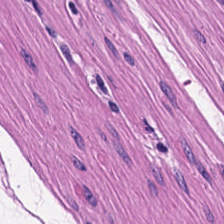Hematoxylin-and-eosin stained section. Tissue class: smooth muscle.
